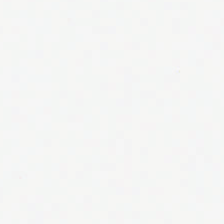H&E stain.
The field content is background.
